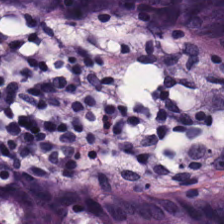Stain: hematoxylin-and-eosin stained section.
Tissue: normal colonic mucosa.
